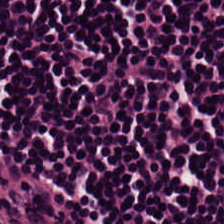Stain: H&E.
Predominant tissue: lymphocyte aggregate.
